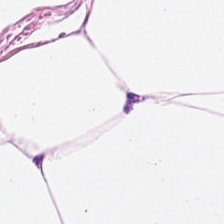Adipose.
